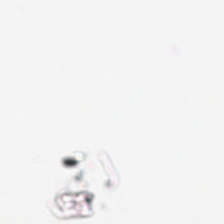Hematoxylin and eosin. Classification = background (no tissue).
